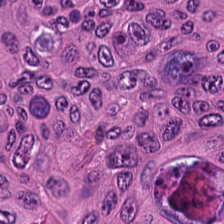Hematoxylin and eosin — This patch shows adenocarcinoma.
